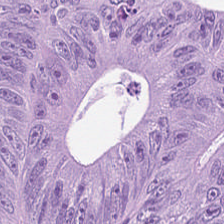H&E stain — Predominantly malignant epithelium.
